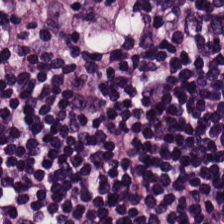Stain: H&E-stained tissue section.
Acquisition: brightfield microscopy.
Tissue: lymphocyte aggregate.
